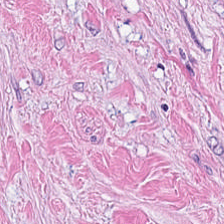Hematoxylin and eosin · FFPE · 224×224 px tile. Q: What tissue is shown?
A: Cancer-associated stroma.
